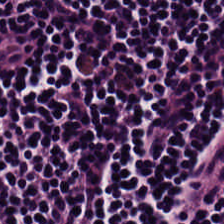Hematoxylin-and-eosin stained section.
Tissue: lymphocyte aggregate.
